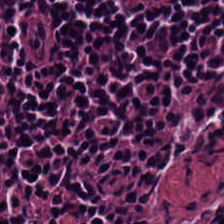Brightfield microscopy. H&E-stained tissue section. 0.5 µm per pixel. Tissue class — lymphocytic infiltrate.
